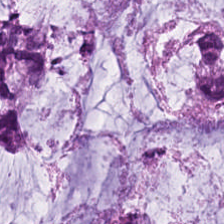H&E; formalin-fixed paraffin-embedded section — The predominant tissue is mucin.
